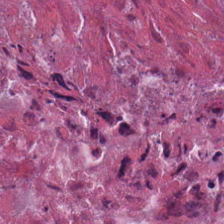Tissue type: debris.
